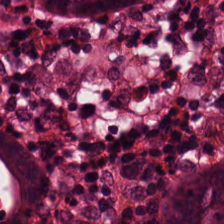224×224 px patch; H&E — Normal colonic mucosa.
